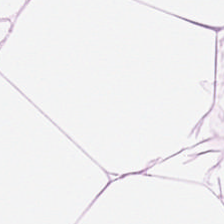Hematoxylin-and-eosin stained section — Histology — adipocytes.
